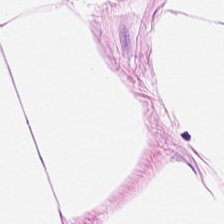H&E; 224×224 px patch; WSI patch.
The tissue here is adipose.
